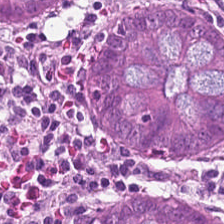H&E — Impression → non-neoplastic colon mucosa.
